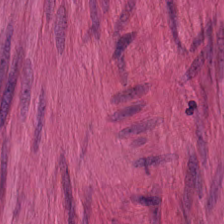H&E — Smooth muscle.
